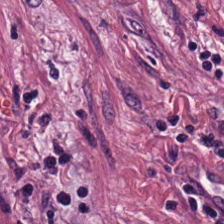Brightfield; H&E.
Showing cancer-associated stroma.
